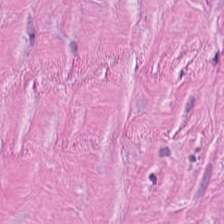Hematoxylin-and-eosin stained section. Whole-slide-image patch. {"tissue_type": "tumor stroma"}
